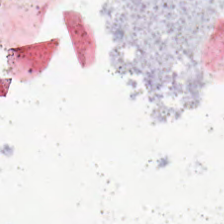Brightfield · H&E. Background — no tissue in this field.
